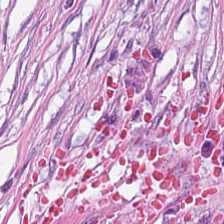H&E-stained tissue section; FFPE tissue section; 20× equivalent magnification — Tissue type = cancer-associated stroma.
